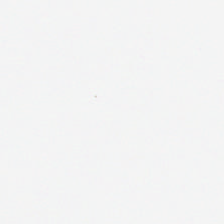The content is empty background.
